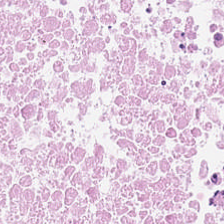H&E stain.
Q: Classify this patch.
A: This is necrotic debris.
